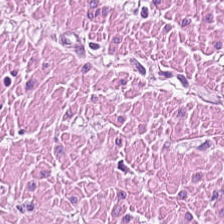WSI patch; 224×224 pixel tile; hematoxylin and eosin. Smooth muscle.
